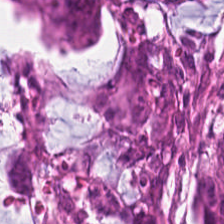Hematoxylin and eosin · FFPE tissue section — Q: What is shown here?
A: Colorectal adenocarcinoma.
